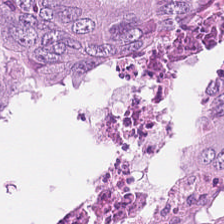Stain: hematoxylin and eosin.
Tissue: malignant epithelium.
